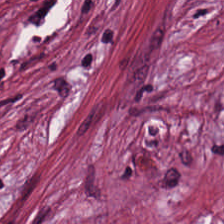Hematoxylin and eosin.
This field is cancer-associated stroma.
